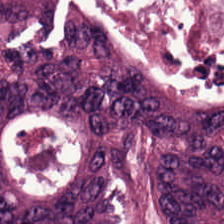H&E-stained tissue section. Predominantly colorectal adenocarcinoma.
